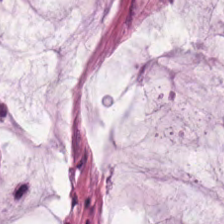Hematoxylin and eosin. The tissue here is extracellular mucin.
